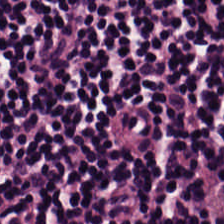Hematoxylin and eosin. The predominant tissue is lymphocyte aggregate.
